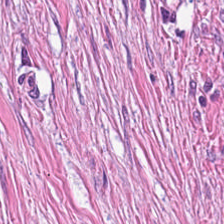H&E — Q: What is shown here?
A: It is tumor stroma.
